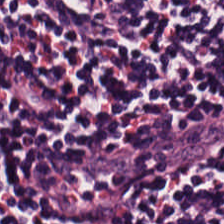Tissue class: lymphocytic infiltrate.
